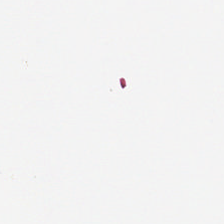Impression — no tissue.
